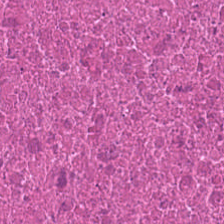224×224 pixel tile. Hematoxylin and eosin. Cellular debris.
